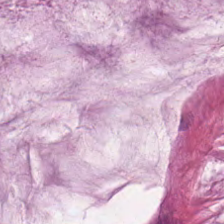224×224 px tile. FFPE tissue section. Hematoxylin-and-eosin stained section.
Mucin.
